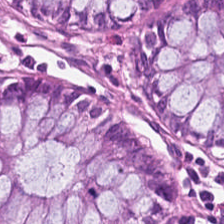H&E stain. Classification — normal colonic mucosa.
